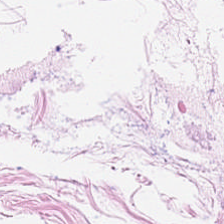Stain: H&E.
Tissue: adipocytes.
